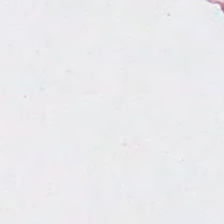Brightfield microscopy; hematoxylin and eosin.
This field is background (no tissue).
